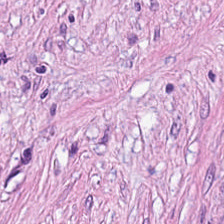H&E stain.
Classification = tumor stroma.
